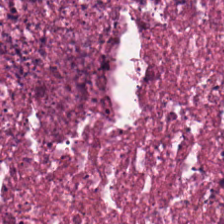H&E-stained tissue section — This field is cellular debris.
